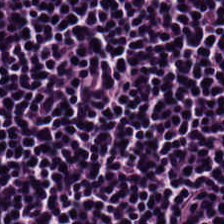H&E-stained tissue section. Tissue class = lymphoid infiltrate.
